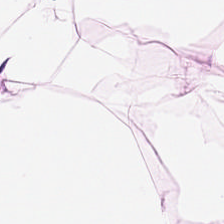Stain: hematoxylin and eosin.
Predominant tissue: adipose tissue.
